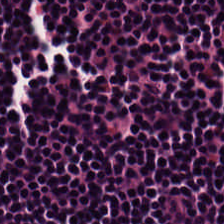H&E stain.
Q: Classify this patch.
A: This is lymphocytic infiltrate.
